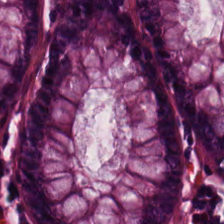H&E. FFPE.
The predominant tissue is benign colonic mucosa.
